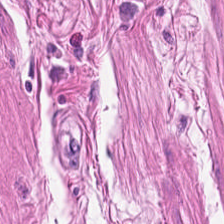H&E-stained tissue section; 0.5 microns per pixel.
The tissue is smooth muscle.
